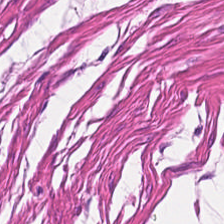H&E stain. Finding → smooth-muscle tissue.
